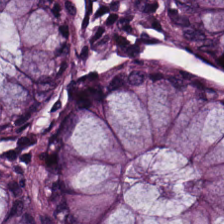Q: What tissue is shown?
A: The field shows normal colon mucosa.
